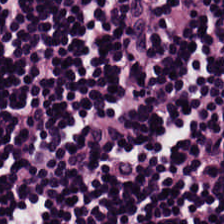H&E. Predominant tissue = lymphocytes.
